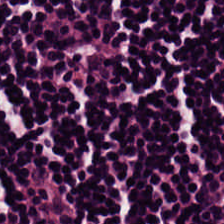Hematoxylin-and-eosin stained section.
Histology → lymphocytes.
